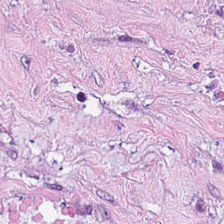H&E stain.
Tumor stroma.
